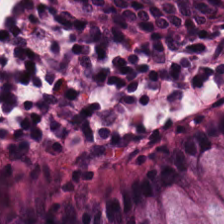The tissue class is non-neoplastic colon mucosa.
